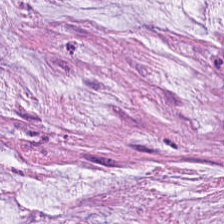Hematoxylin-and-eosin stained section · formalin-fixed paraffin-embedded section.
Tissue — extracellular mucin.
